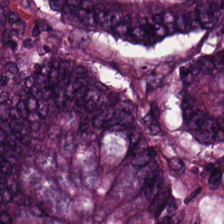224×224 px tile; H&E stain. Q: What tissue type is shown here?
A: This is colorectal adenocarcinoma.
